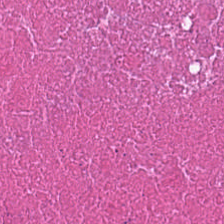Stain: H&E stain.
Tissue: debris.
